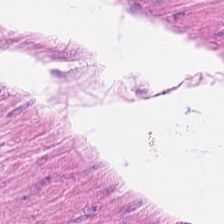H&E-stained tissue section · 224×224 px tile · WSI patch — Q: What tissue is shown?
A: Smooth-muscle tissue.
